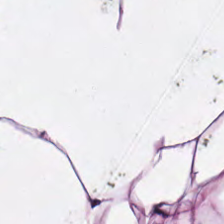The predominant tissue is adipose.
